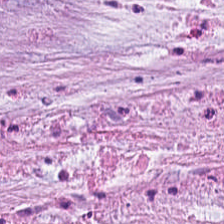Q: What tissue type is shown here?
A: Mucus.
